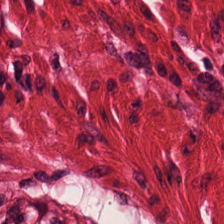WSI patch. H&E stain.
This patch shows muscularis.
